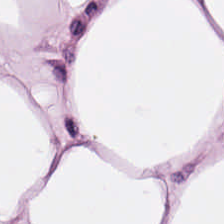Hematoxylin and eosin.
Finding → fat tissue.
